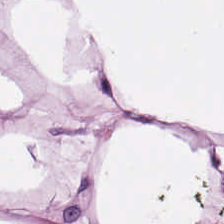Hematoxylin-and-eosin stained section · 0.5 µm/px — This field is adipocytes.
